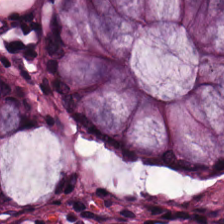H&E · formalin-fixed paraffin-embedded section.
Tissue type — normal colon mucosa.
